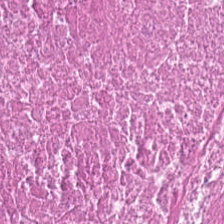H&E stain. Q: What does this patch show?
A: It is necrotic debris.
